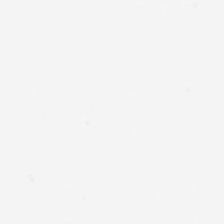H&E-stained tissue section — No tissue present; background only.
